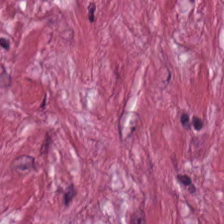H&E-stained tissue section — The tissue is tumor stroma.
